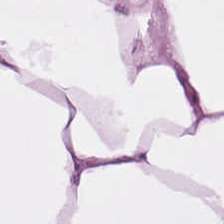0.5 µm/px. H&E-stained tissue section.
Predominantly fat tissue.
